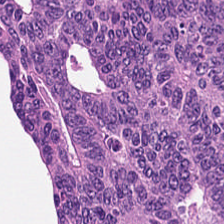Stain: H&E-stained tissue section.
Tile size: 224×224 px patch.
Tissue: malignant epithelium.
